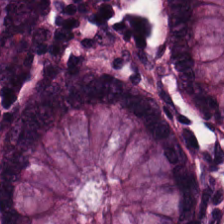Formalin-fixed paraffin-embedded section · H&E-stained tissue section.
Q: What tissue type is shown here?
A: The field shows benign colonic mucosa.
